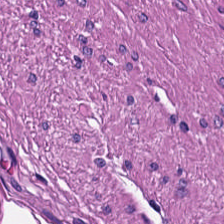Hematoxylin-and-eosin stained section.
Q: What is shown here?
A: Smooth-muscle tissue.
